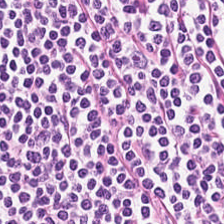H&E-stained tissue section.
{"tissue_type": "lymphocytic infiltrate"}
